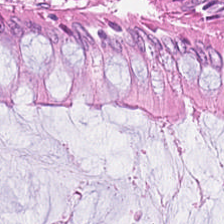Stain: H&E-stained tissue section.
Classification: normal colonic mucosa.
